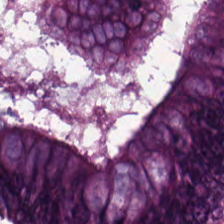Hematoxylin and eosin — Q: What is shown here?
A: It is malignant epithelium.
